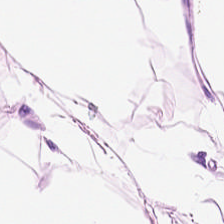Hematoxylin-and-eosin stained section. This patch shows adipose tissue.
